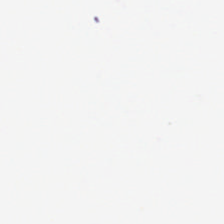H&E stain.
Content = background.
